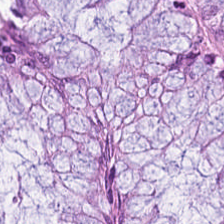H&E stain; WSI patch; 224×224 px tile. Classification: normal colonic mucosa.
